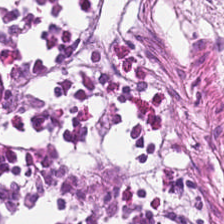Whole-slide-image patch. H&E stain.
Classification — benign colonic mucosa.
